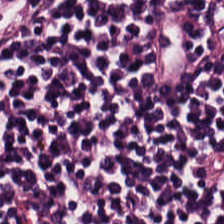Hematoxylin and eosin — The tissue here is lymphocyte aggregate.
